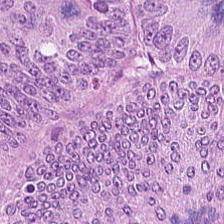Stain: hematoxylin and eosin.
Tissue type: tumor epithelium.
